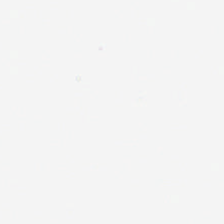224×224 px patch. FFPE. Hematoxylin and eosin — This patch shows empty background.
